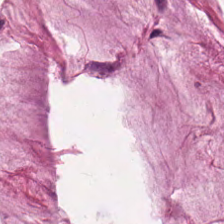Q: What tissue is shown?
A: Mucin.
